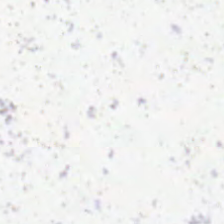Brightfield; 224×224 px patch; H&E stain — Q: Classify this patch.
A: It is empty background.
